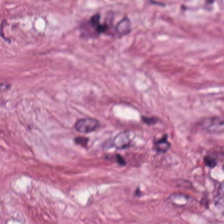Hematoxylin and eosin. Showing cancer-associated stroma.
